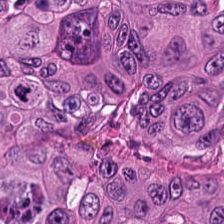Brightfield microscopy · hematoxylin and eosin.
{"tissue_type": "colorectal adenocarcinoma epithelium"}
